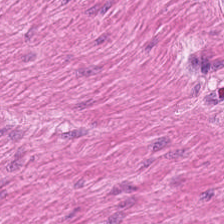Stain: H&E stain.
Classification: muscularis.
